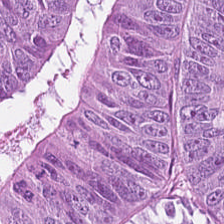Hematoxylin-and-eosin stained section. This patch shows adenocarcinoma.
